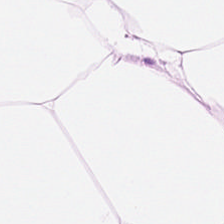Stain: H&E-stained tissue section.
Predominant tissue: fat tissue.
